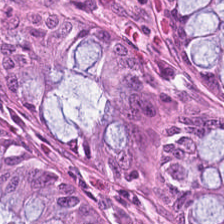Tissue: normal colon mucosa.
